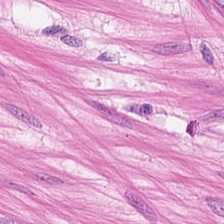Hematoxylin-and-eosin stained section. Tissue class = smooth-muscle tissue.
